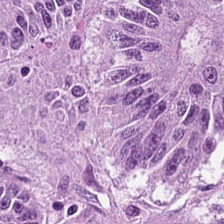H&E — Tissue = colorectal adenocarcinoma.
